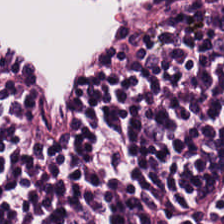The tissue is lymphocytic infiltrate.
